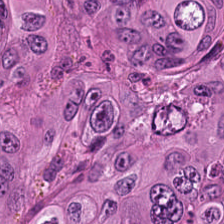Hematoxylin and eosin; brightfield microscopy — The tissue type is colorectal adenocarcinoma.
